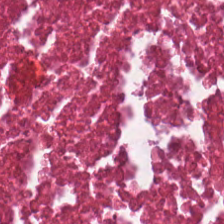Hematoxylin and eosin. The tissue is debris.
